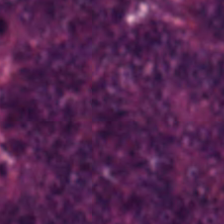224×224 pixel tile; H&E-stained tissue section; brightfield.
Tumor epithelium.
